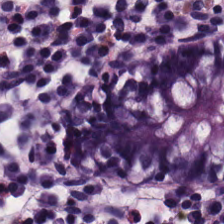Hematoxylin-and-eosin stained section — Classification: normal colonic mucosa.
